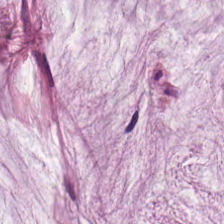H&E — Tissue class: mucus.
